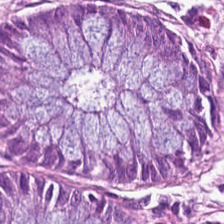Stain: hematoxylin and eosin.
Resolution: 0.5 µm/px.
Acquisition: WSI patch.
Predominant tissue: normal colon mucosa.
